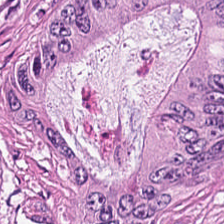Q: What type of tissue is this?
A: This is adenocarcinoma.
